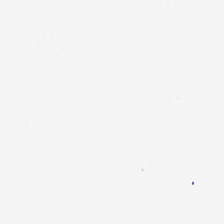Q: What is shown here?
A: The field shows background (no tissue).
